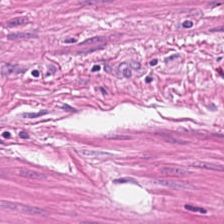H&E stain — The predominant tissue is smooth muscle.
